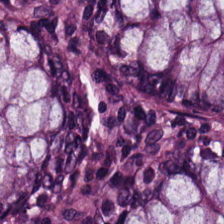This patch shows normal colonic mucosa.
